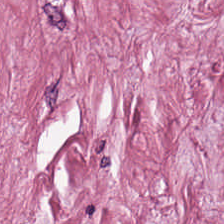Tumor stroma.
